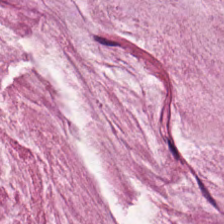Hematoxylin-and-eosin stained section. Q: What tissue is shown?
A: This is mucin.
